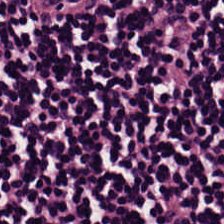Whole-slide-image patch · 20× equivalent magnification · H&E stain.
{"tissue_type": "lymphocytic infiltrate"}
